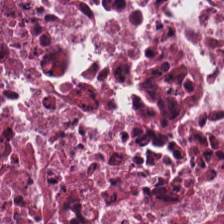224×224 px patch. H&E stain. WSI patch — Tissue type = debris.
